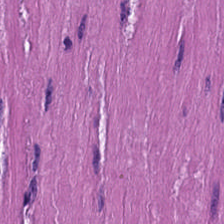Stain: H&E-stained tissue section.
Tile size: 224×224 px tile.
Acquisition: whole-slide-image patch.
Tissue type: smooth-muscle tissue.
